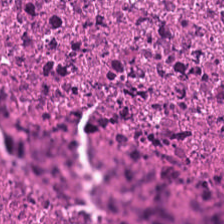H&E-stained tissue section · 0.5 µm/px.
Necrotic debris.
